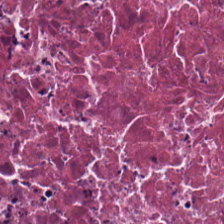Stain: hematoxylin and eosin.
Tissue type: debris.
